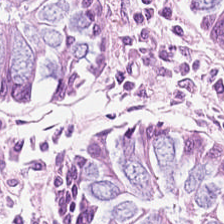FFPE tissue section · hematoxylin-and-eosin stained section — Tissue type = normal colonic mucosa.
